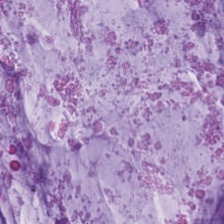The predominant tissue is mucus.
